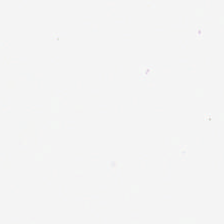Stain: H&E-stained tissue section.
Acquisition: whole-slide-image patch.
Tile size: 224×224 px patch.
Classification: background.
